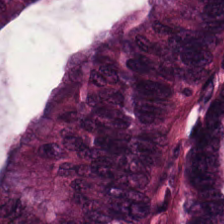Hematoxylin and eosin — {"tissue_type": "malignant epithelium"}
